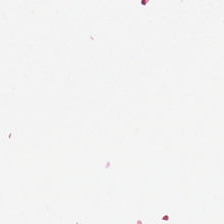Background — no tissue in this field.
